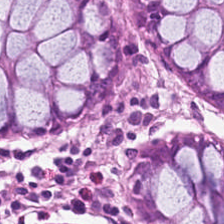Predominantly non-neoplastic colon mucosa.
